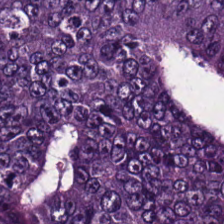H&E-stained tissue section.
Tissue = malignant epithelium.
